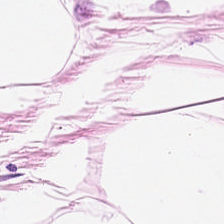H&E-stained tissue section · FFPE · brightfield microscopy. The tissue class is fat tissue.
